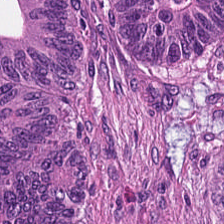Predominantly colorectal adenocarcinoma epithelium.
